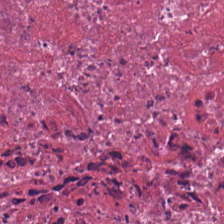Hematoxylin and eosin.
Q: What does this patch show?
A: The field shows cellular debris.
